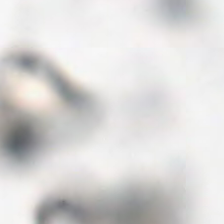Hematoxylin-and-eosin stained section. Impression — background.
